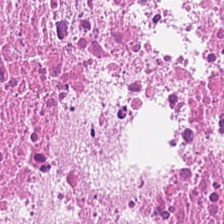FFPE · H&E stain · 224×224 px patch. This field is necrotic debris.
